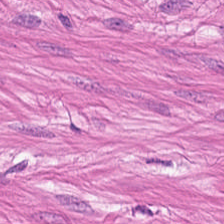Tissue class = smooth muscle.
